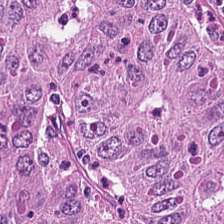H&E stain.
Finding — adenocarcinoma.
